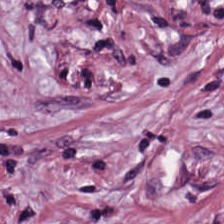H&E-stained tissue section; brightfield.
Q: What is the predominant tissue type?
A: Tumor stroma.
